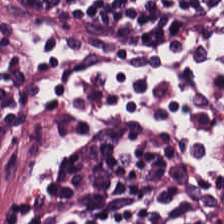Hematoxylin-and-eosin stained section.
Tissue = lymphoid infiltrate.
